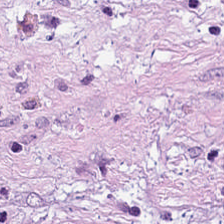FFPE tissue section. H&E.
This patch shows tumor-associated stroma.
